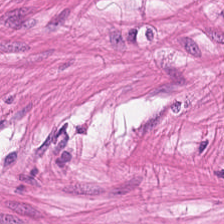H&E stain · 0.5 microns per pixel. The tissue here is muscularis.
